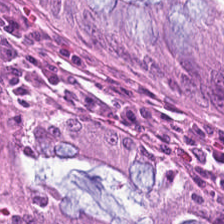224×224 px patch · H&E stain · whole-slide-image patch — This patch shows normal colon mucosa.
